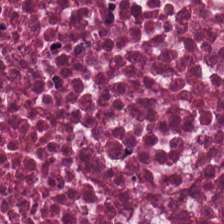224×224 px tile · hematoxylin and eosin. Tissue class = necrotic debris.
